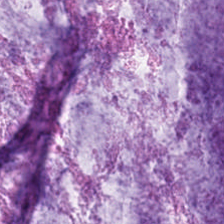H&E stain · formalin-fixed paraffin-embedded section. The predominant tissue is mucus.
